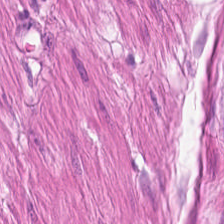H&E.
Q: What does this patch show?
A: This is smooth muscle.
